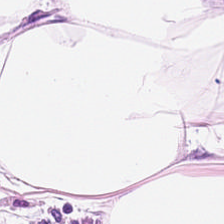Stain: H&E.
Tissue type: adipose tissue.
